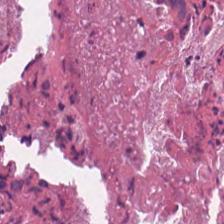This field is cellular debris.
